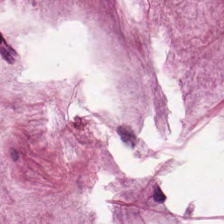FFPE tissue section; hematoxylin and eosin. Q: What does this patch show?
A: Extracellular mucin.
